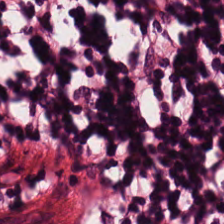224×224 px patch. H&E.
Classification: lymphocyte aggregate.
